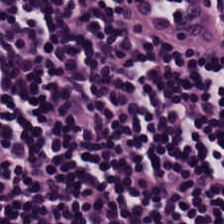H&E · 0.5 µm per pixel. Tissue class = lymphocytic infiltrate.
